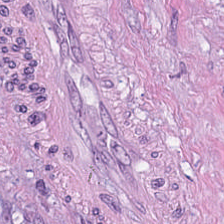Brightfield. H&E-stained tissue section.
The tissue here is tumor-associated stroma.
